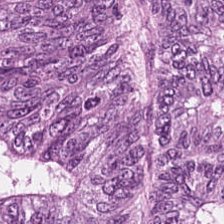H&E. Classification — colorectal adenocarcinoma epithelium.
